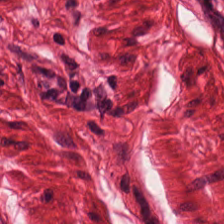H&E-stained tissue section. {"tissue_type": "smooth-muscle tissue"}
